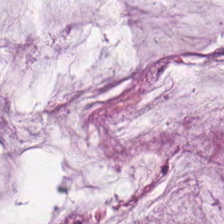H&E. Q: What type of tissue is this?
A: It is mucus.
